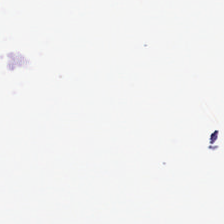Formalin-fixed paraffin-embedded section. H&E.
Background — no tissue in this field.
